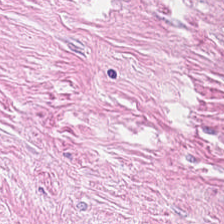Hematoxylin-and-eosin stained section — Finding → cancer-associated stroma.
